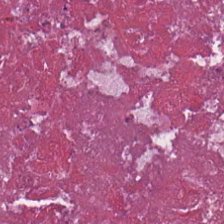Stain: hematoxylin and eosin.
Tissue type: debris.
